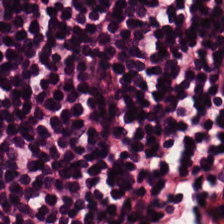H&E-stained tissue section · brightfield microscopy — Q: What does this patch show?
A: It is lymphocyte aggregate.
